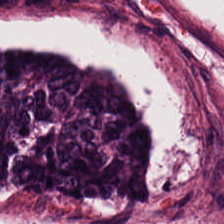H&E · 0.5 µm per pixel. The predominant tissue is tumor epithelium.
